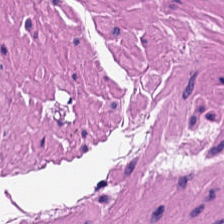H&E.
The tissue type is smooth-muscle tissue.
